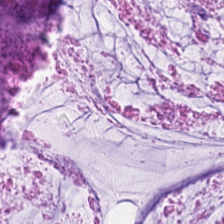The tissue class is mucus.
